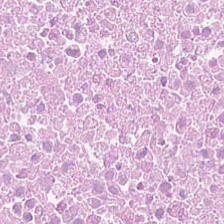Hematoxylin-and-eosin stained section; 224×224 px patch — Tissue — necrotic debris.
